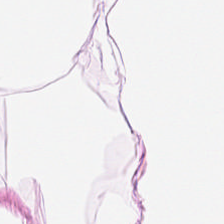Hematoxylin-and-eosin stained section.
Predominant tissue — adipose tissue.
